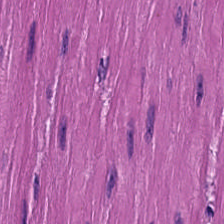H&E; 224×224 pixel tile; brightfield microscopy — The predominant tissue is muscularis.
